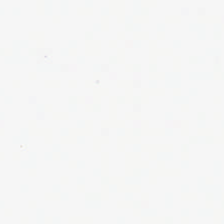The classification is background (no tissue).
